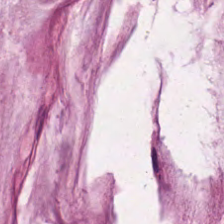H&E-stained tissue section.
This field is mucus.
